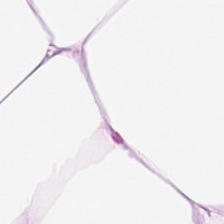Hematoxylin-and-eosin stained section — Predominantly adipocytes.
